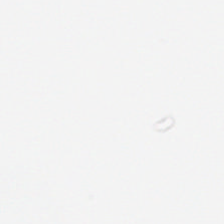H&E stain.
No tissue present; background only.
